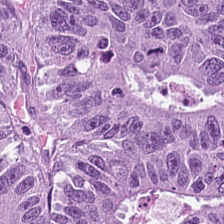Stain: hematoxylin and eosin.
Classification: malignant epithelium.
